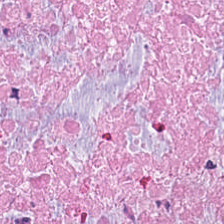Hematoxylin and eosin · 224×224 px tile · formalin-fixed paraffin-embedded section — Tissue class — debris.
